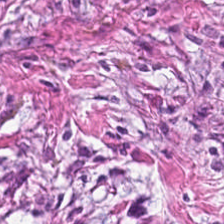H&E stain — Q: What type of tissue is this?
A: Desmoplastic stroma.
